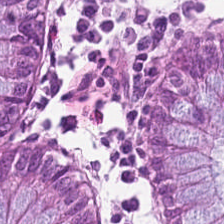20× equivalent magnification. H&E-stained tissue section.
This patch shows normal colonic mucosa.
